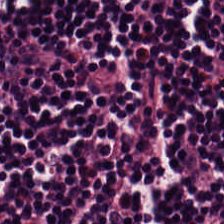{"tissue_type": "lymphoid infiltrate"}
